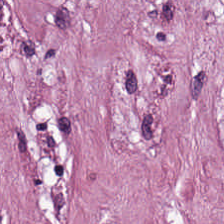Stain: H&E stain.
Classification: cancer-associated stroma.
